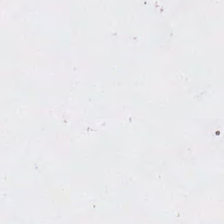H&E. Q: What does this patch show?
A: Background (no tissue).
